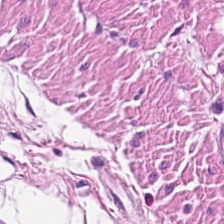Hematoxylin and eosin; whole-slide-image patch — Smooth-muscle tissue.
